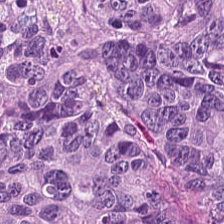H&E — Q: What is the predominant tissue type?
A: Adenocarcinoma.
